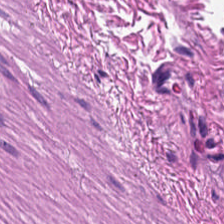Hematoxylin-and-eosin stained section — Showing muscularis.
